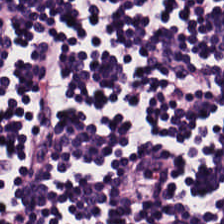0.5 µm/px · hematoxylin-and-eosin stained section. Lymphocytic infiltrate.
